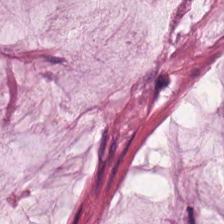H&E stain.
Tissue type — mucin.
